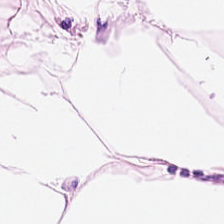0.5 µm/px · hematoxylin-and-eosin stained section.
{"tissue_type": "adipose tissue"}
